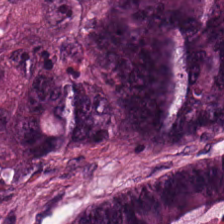Hematoxylin and eosin.
This field is colorectal adenocarcinoma epithelium.
